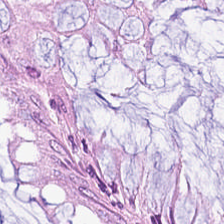Hematoxylin and eosin. FFPE.
Q: What is shown in this field?
A: This is normal colon mucosa.
